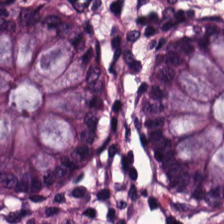H&E stain. This patch shows normal colonic mucosa.
